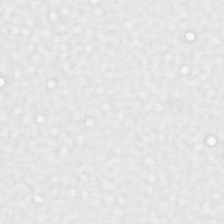H&E-stained tissue section. Brightfield — Background — no tissue in this field.
